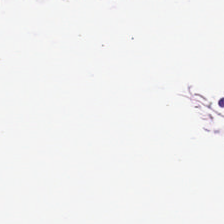0.5 µm per pixel; H&E stain — Q: What is the predominant tissue type?
A: Adipocytes.
